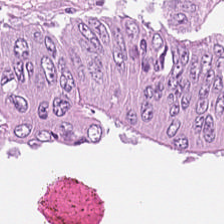224×224 pixel tile. Hematoxylin and eosin. FFPE tissue section — This patch shows malignant epithelium.
